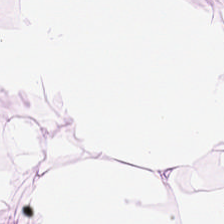0.5 microns per pixel · hematoxylin and eosin · brightfield. Showing adipose tissue.
